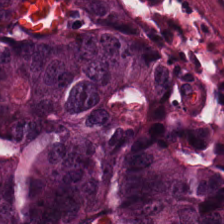H&E stain · whole-slide-image patch.
{"tissue_type": "tumor epithelium"}
